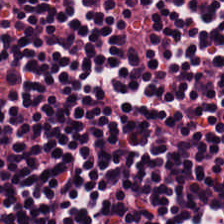Stain: hematoxylin and eosin.
Tissue: lymphoid infiltrate.
